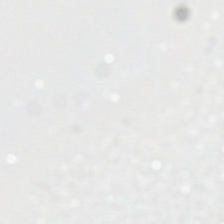Hematoxylin-and-eosin stained section — Finding → empty background.
